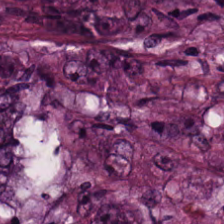Hematoxylin-and-eosin stained section. Showing adenocarcinoma.
